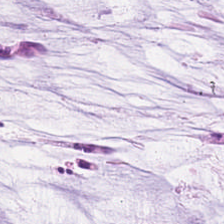0.5 µm per pixel; H&E.
Predominant tissue — mucus.
